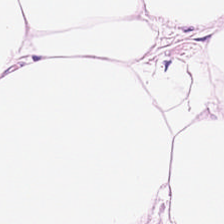Q: What does this patch show?
A: It is adipose.
